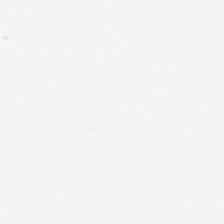H&E. WSI patch.
No tissue present; background only.
